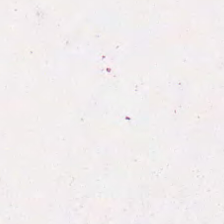Histology — mucus.
